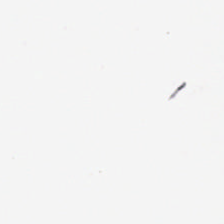H&E-stained tissue section. 224×224 pixel tile. Whole-slide-image patch. {"content": "no tissue"}
